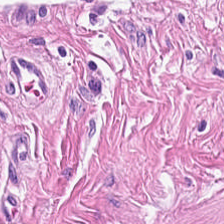Whole-slide-image patch · H&E-stained tissue section — Predominantly muscularis.
